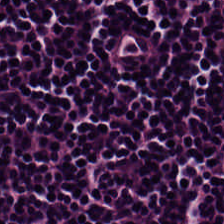Hematoxylin-and-eosin stained section. This patch shows lymphocytic infiltrate.
